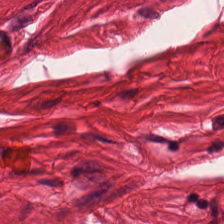H&E-stained tissue section — Q: What does this patch show?
A: The field shows smooth-muscle tissue.
